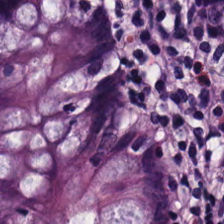Q: What is the predominant tissue type?
A: The field shows benign colonic mucosa.
